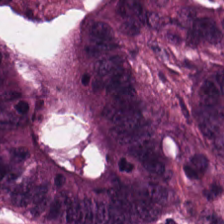Hematoxylin and eosin. WSI patch. This patch shows colorectal adenocarcinoma.
